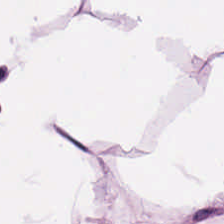{"tissue_type": "adipose"}
